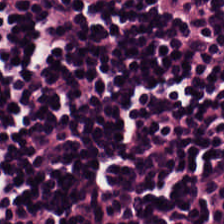Predominant tissue — lymphocytic infiltrate.
